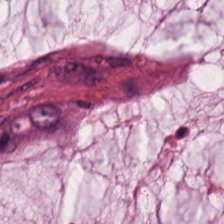Finding → mucus.
